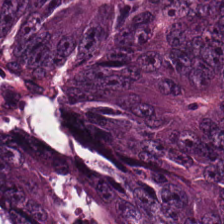H&E — adenocarcinoma.
